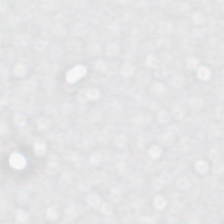Stain: hematoxylin-and-eosin stained section.
Classification: background (no tissue).
